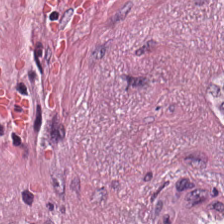H&E-stained tissue section · 0.5 µm per pixel — Finding → tumor-associated stroma.
